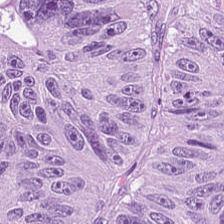0.5 µm per pixel; H&E-stained tissue section. Classification: colorectal adenocarcinoma epithelium.
